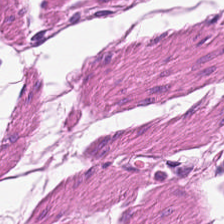H&E.
Muscularis.
